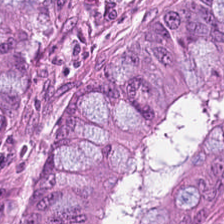Tissue — colorectal adenocarcinoma epithelium.
